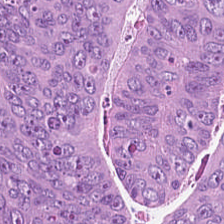Hematoxylin and eosin. 20× equivalent magnification. 224×224 pixel tile — {"tissue_type": "colorectal adenocarcinoma"}
